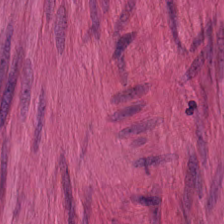H&E-stained tissue section · brightfield microscopy. Tissue type — smooth-muscle tissue.
